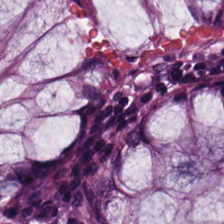224×224 px patch · WSI patch · H&E-stained tissue section.
Tissue class = normal colonic mucosa.
